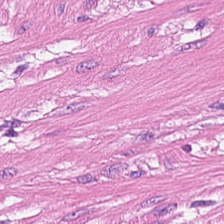Hematoxylin-and-eosin stained section; brightfield microscopy; 0.5 µm per pixel. Q: What is shown in this field?
A: The field shows smooth-muscle tissue.
